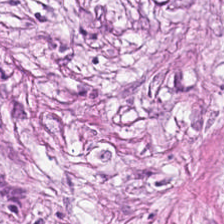Hematoxylin-and-eosin stained section. Classification = cancer-associated stroma.
